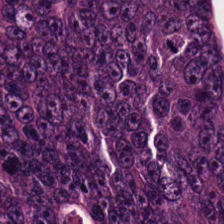Classification = malignant epithelium.
